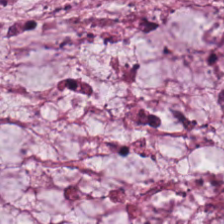Tissue type: mucus.
